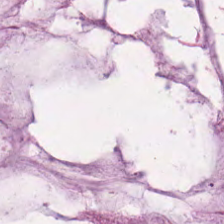H&E stain; WSI patch — {"tissue_type": "extracellular mucin"}
